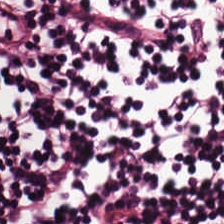FFPE tissue section · H&E stain.
Tissue class = lymphocyte aggregate.
